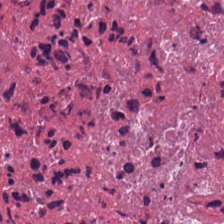H&E — Tissue class: debris.
